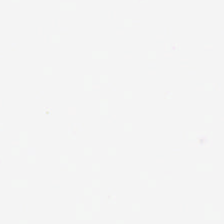H&E. Whole-slide-image patch. 20× equivalent magnification.
This patch shows background.
